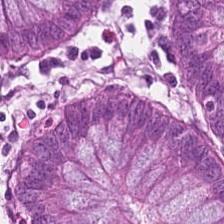Brightfield microscopy; H&E stain. Showing normal colonic mucosa.
